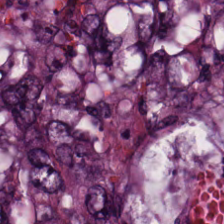Hematoxylin-and-eosin stained section · 224×224 pixel tile. Impression → adenocarcinoma.
